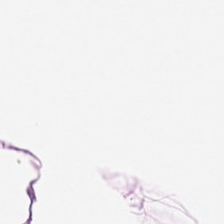H&E. Brightfield microscopy — Showing fat tissue.
